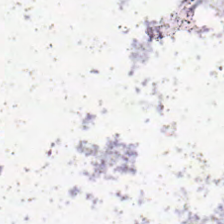This field is background (no tissue).
